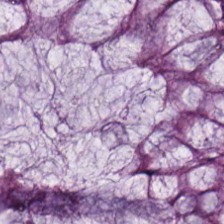Q: What does this patch show?
A: This is normal colonic mucosa.
